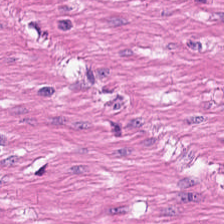H&E. Smooth muscle.
